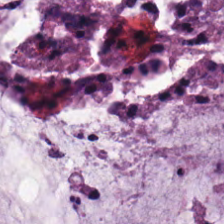Hematoxylin-and-eosin stained section.
Showing mucin.
